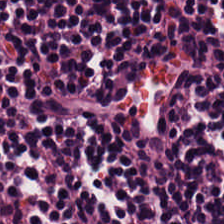H&E.
{"tissue_type": "lymphocyte aggregate"}
